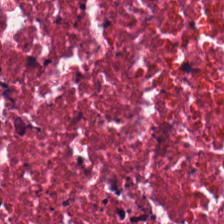H&E-stained tissue section — Necrotic debris.
